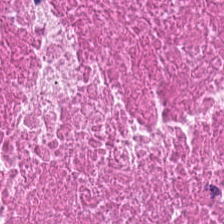FFPE tissue section; H&E; brightfield.
{"tissue_type": "necrotic debris"}
